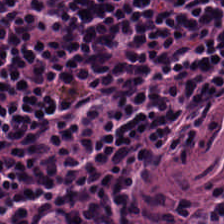224×224 px tile; hematoxylin and eosin — Predominantly lymphocytes.
